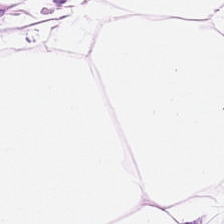H&E stain — This patch shows adipose.
